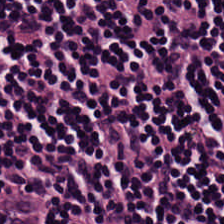H&E stain — Histology — lymphoid infiltrate.
